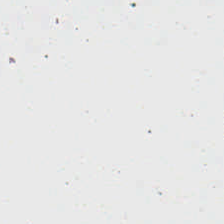H&E — Field content: background (no tissue).
